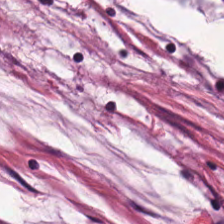Tissue class = extracellular mucin.
